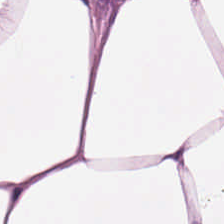Stain: H&E stain.
Preparation: FFPE tissue section.
Tissue type: adipocytes.
